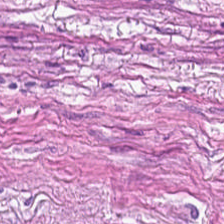Brightfield; hematoxylin and eosin; formalin-fixed paraffin-embedded section. This field is tumor stroma.
